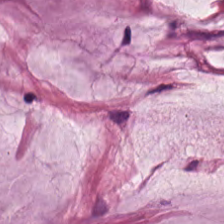Stain: H&E stain.
Resolution: 20× equivalent magnification.
Acquisition: brightfield.
Tissue class: extracellular mucin.
